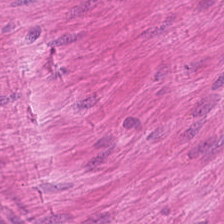H&E. 224×224 px tile. Brightfield microscopy.
{"tissue_type": "smooth muscle"}
